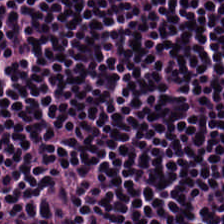Predominant tissue = lymphoid infiltrate.
